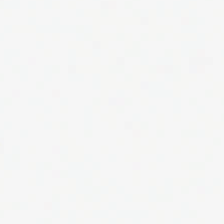224×224 px tile; hematoxylin-and-eosin stained section — No tissue present; background only.
